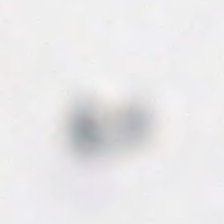Stain: hematoxylin-and-eosin stained section.
Acquisition: brightfield microscopy.
Resolution: 0.5 µm/px.
Content: background.
